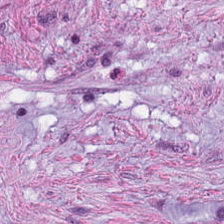Hematoxylin and eosin.
The tissue here is tumor stroma.
